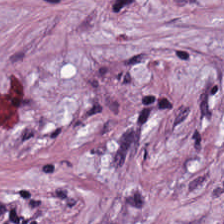Q: Identify the tissue.
A: The field shows desmoplastic stroma.
